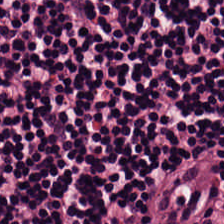Hematoxylin and eosin. 224×224 px patch. The predominant tissue is lymphocytic infiltrate.
